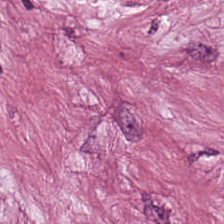Histology — desmoplastic stroma.
